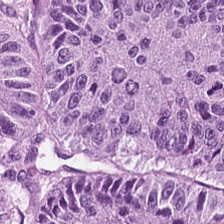Formalin-fixed paraffin-embedded section; H&E — Tissue — malignant epithelium.
